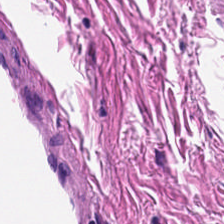H&E — smooth muscle.
